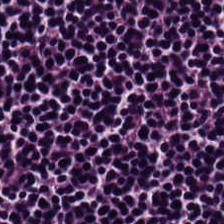The tissue here is lymphocytes.
